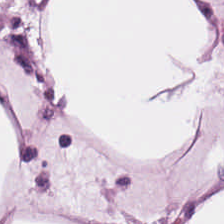FFPE. Hematoxylin-and-eosin stained section. Q: What type of tissue is this?
A: The field shows adipocytes.
